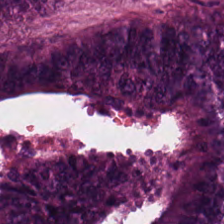H&E stain. Q: What type of tissue is this?
A: The field shows tumor epithelium.
